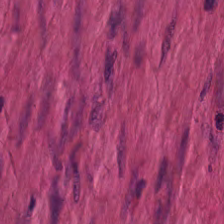H&E; WSI patch. {"tissue_type": "smooth-muscle tissue"}
